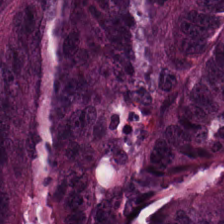Hematoxylin-and-eosin stained section — Tissue — colorectal adenocarcinoma epithelium.
